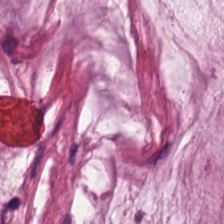Hematoxylin-and-eosin stained section. Extracellular mucin.
